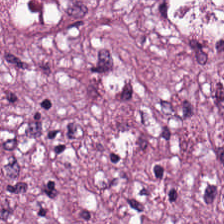Impression — desmoplastic stroma.
